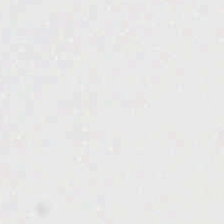No tissue present; background only.
